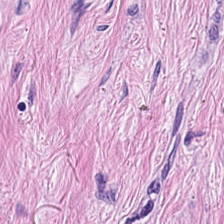Hematoxylin-and-eosin stained section. Q: Identify the tissue.
A: The field shows desmoplastic stroma.
